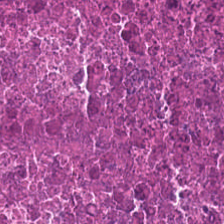20× equivalent magnification; H&E. Q: What does this patch show?
A: It is cellular debris.
